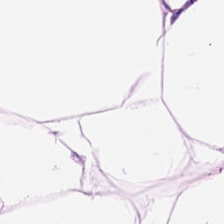Hematoxylin and eosin. WSI patch.
Tissue — adipose tissue.
